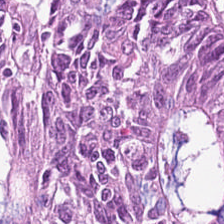Stain: H&E.
Resolution: 0.5 microns per pixel.
Tissue type: colorectal adenocarcinoma.
